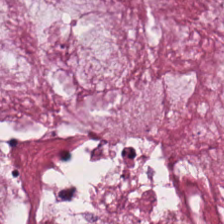Hematoxylin and eosin. 224×224 px tile — The predominant tissue is mucin.
